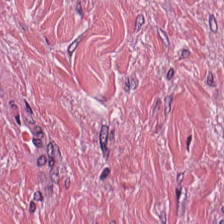Hematoxylin-and-eosin stained section — {"tissue_type": "desmoplastic stroma"}
